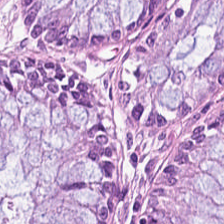The tissue is normal colon mucosa.
